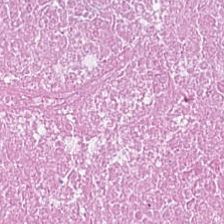H&E patch showing debris.
